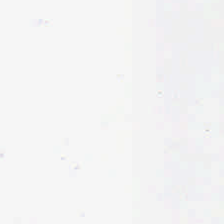0.5 microns per pixel. Hematoxylin-and-eosin stained section.
Background.
